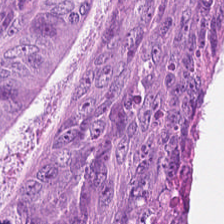224×224 pixel tile; hematoxylin-and-eosin stained section — Q: What is shown here?
A: Tumor epithelium.
